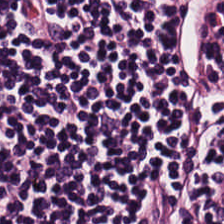The predominant tissue is lymphocytic infiltrate.
